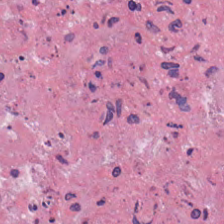224×224 px patch; hematoxylin and eosin.
Tissue: debris.
